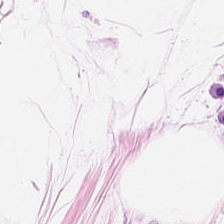Tissue class — adipocytes.
